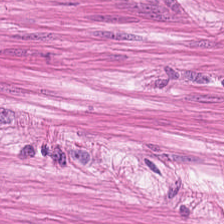H&E-stained tissue section showing smooth muscle.
